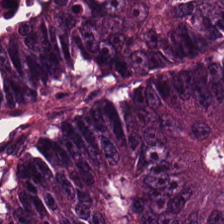Stain: hematoxylin and eosin.
Tissue type: adenocarcinoma.
